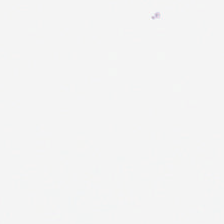H&E-stained tissue section. Content: empty background.
